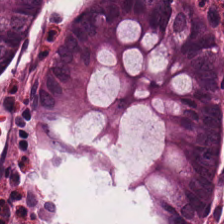H&E.
Finding — non-neoplastic colon mucosa.
